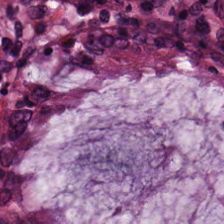Q: What is the predominant tissue type?
A: The field shows normal colonic mucosa.
